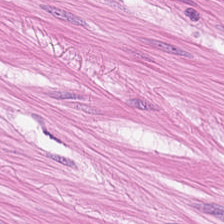Hematoxylin and eosin — This field is smooth-muscle tissue.
